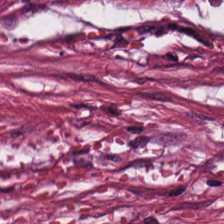H&E-stained section; the field shows desmoplastic stroma.
